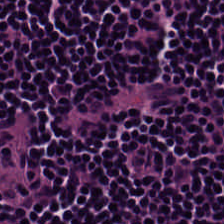Formalin-fixed paraffin-embedded section · hematoxylin-and-eosin stained section. The predominant tissue is lymphoid infiltrate.
